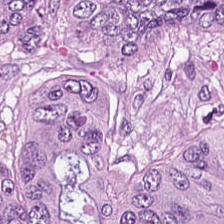H&E-stained tissue section — This patch shows colorectal adenocarcinoma.
